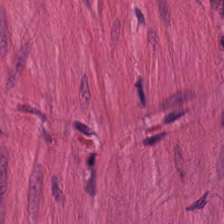Impression → muscularis.
